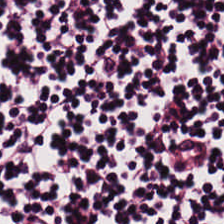Hematoxylin and eosin.
The tissue class is lymphocytic infiltrate.
